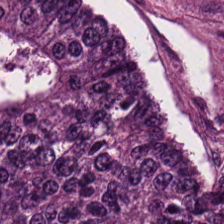H&E stain. Q: What is shown in this field?
A: It is malignant epithelium.
